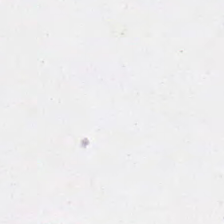224×224 px patch; H&E; WSI patch.
This patch shows background.
